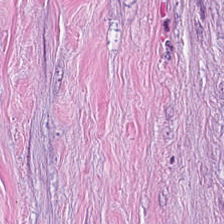Showing desmoplastic stroma.
